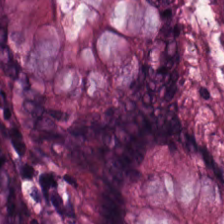Stain: H&E.
Tissue type: normal colon mucosa.
